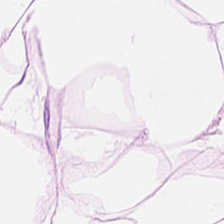Predominant tissue — fat tissue.
